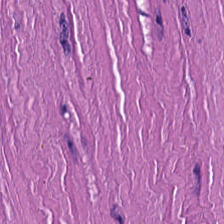Hematoxylin-and-eosin stained section. Finding → smooth muscle.
